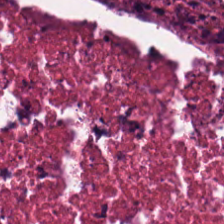H&E. The tissue here is necrotic debris.
